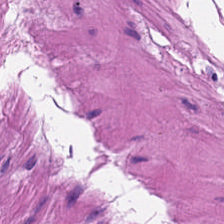H&E.
Predominant tissue — smooth-muscle tissue.
